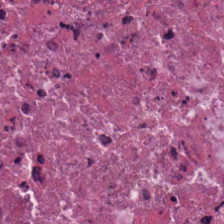H&E — Showing debris.
